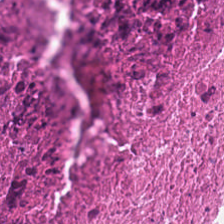H&E-stained tissue section — Q: What does this patch show?
A: The field shows cellular debris.
